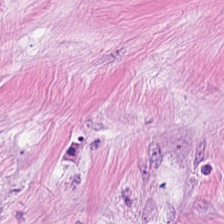Stain: hematoxylin-and-eosin stained section.
Tissue: tumor-associated stroma.
